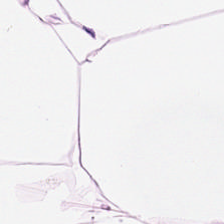H&E stain.
{"tissue_type": "adipose tissue"}
